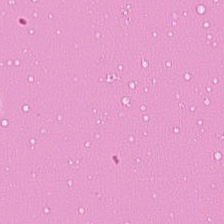H&E. WSI patch.
The predominant tissue is debris.
